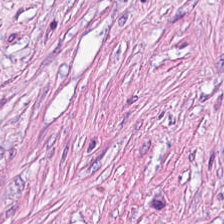Q: What tissue is shown?
A: The field shows tumor-associated stroma.
